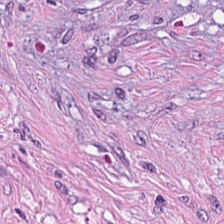Q: What type of tissue is this?
A: Tumor-associated stroma.
